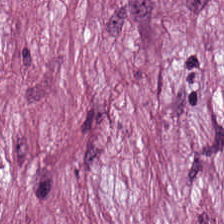The predominant tissue is cancer-associated stroma.
